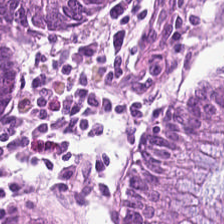224×224 px tile · FFPE · H&E.
This field is normal colon mucosa.
